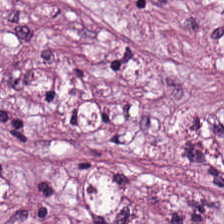Tissue type — desmoplastic stroma.
